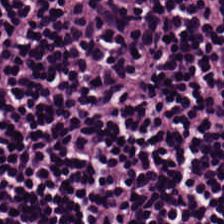H&E stain.
Tissue — lymphoid infiltrate.
